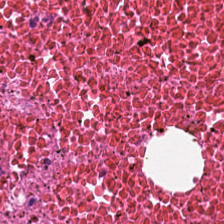H&E.
{"tissue_type": "necrotic debris"}
